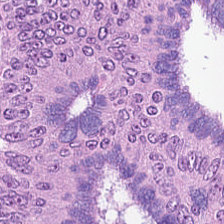H&E stain — The tissue here is adenocarcinoma.
